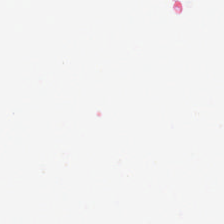Brightfield · hematoxylin-and-eosin stained section · 224×224 px patch. Content: background.
